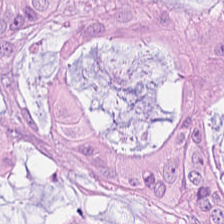This field is malignant epithelium.
